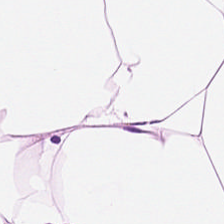224×224 pixel tile · 0.5 µm/px · H&E stain — Showing fat tissue.
